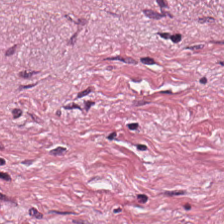224×224 px patch · formalin-fixed paraffin-embedded section · hematoxylin and eosin.
The tissue here is tumor stroma.
